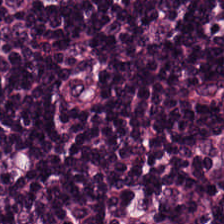Stain: hematoxylin-and-eosin stained section.
Classification: lymphocytic infiltrate.
